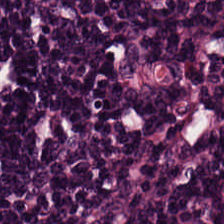Classification = lymphoid infiltrate.
